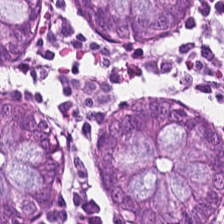Predominantly normal colonic mucosa.
